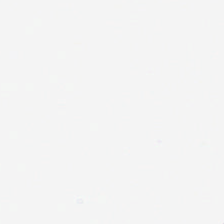H&E — {"content": "no tissue"}
